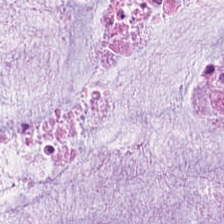Brightfield. H&E-stained tissue section — This patch shows extracellular mucin.
